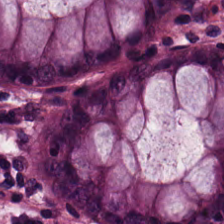{"tissue_type": "normal colonic mucosa"}
